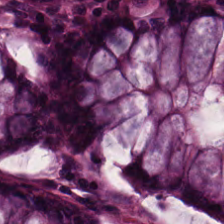Hematoxylin and eosin.
Tissue class = benign colonic mucosa.
